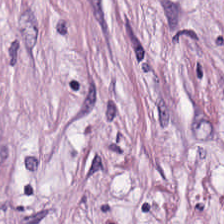Formalin-fixed paraffin-embedded section. Brightfield microscopy. H&E-stained tissue section.
Predominant tissue — cancer-associated stroma.
